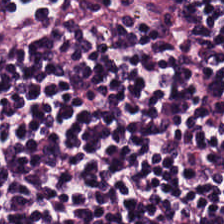Hematoxylin-and-eosin stained section. {"tissue_type": "lymphocytic infiltrate"}
